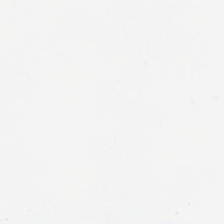224×224 px tile; hematoxylin and eosin; WSI patch. This field is background (no tissue).
